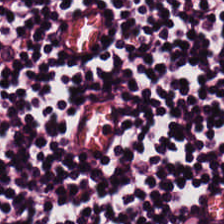H&E.
Classification: lymphocyte aggregate.
